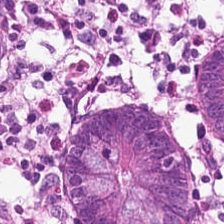H&E · whole-slide-image patch · 224×224 px patch.
Histology — non-neoplastic colon mucosa.
